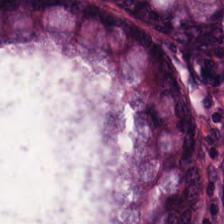Hematoxylin-and-eosin stained section.
Predominantly normal colonic mucosa.
